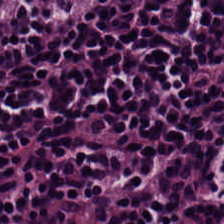This patch shows lymphocyte aggregate.
